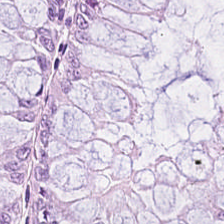Hematoxylin-and-eosin stained section — Tissue: benign colonic mucosa.
